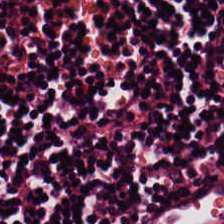H&E stain; 0.5 µm per pixel — Tissue = lymphocytes.
